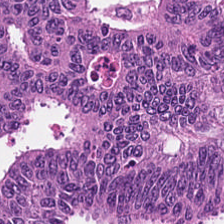Classification: adenocarcinoma.
